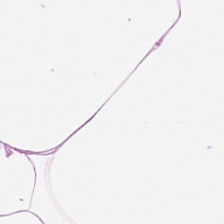Finding → adipose tissue.
